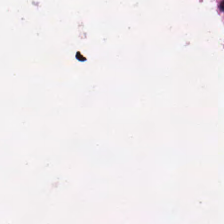This patch shows debris.
